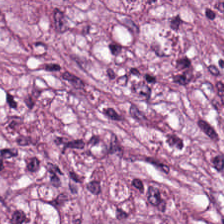This patch shows tumor stroma.
